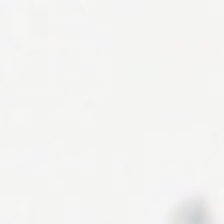No tissue present; background only.
